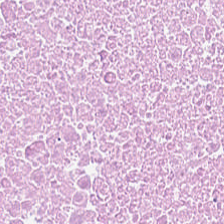H&E · whole-slide-image patch.
The tissue is cellular debris.
